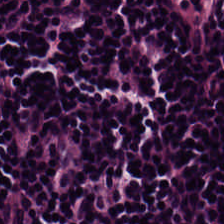H&E-stained tissue section. Q: What type of tissue is this?
A: The field shows lymphocytic infiltrate.
